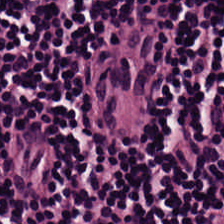224×224 px patch. WSI patch. H&E-stained tissue section — Tissue class — lymphocytes.
